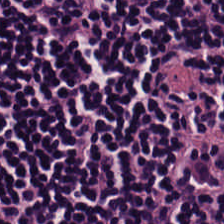Hematoxylin-and-eosin stained section.
{"tissue_type": "lymphocytic infiltrate"}
